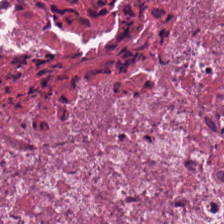H&E stain — Impression → cellular debris.
